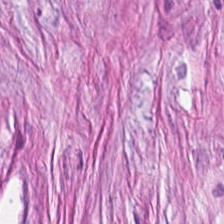224×224 pixel tile · 0.5 µm/px · H&E-stained tissue section.
Predominantly cancer-associated stroma.
